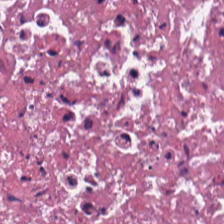Histology → necrotic debris.
